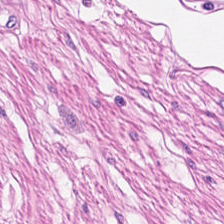H&E — Predominant tissue = smooth muscle.
